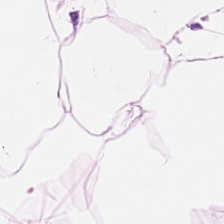Q: What is shown in this field?
A: The field shows adipose.
